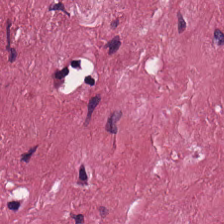H&E stain; formalin-fixed paraffin-embedded section — This field is desmoplastic stroma.
